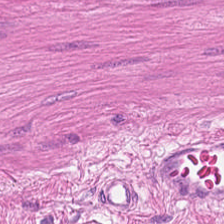The predominant tissue is muscularis.
